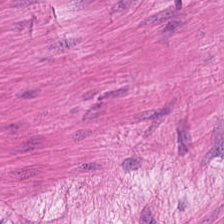Stain: H&E stain.
Predominant tissue: smooth-muscle tissue.
